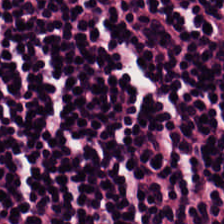224×224 px patch · H&E stain. Histology — lymphocytic infiltrate.
